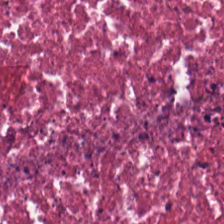H&E stain; 0.5 µm per pixel.
Classification = necrotic debris.
